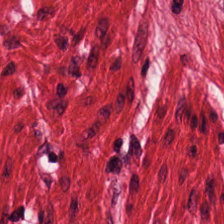H&E · 0.5 microns per pixel. Q: What tissue is shown?
A: The field shows smooth-muscle tissue.
